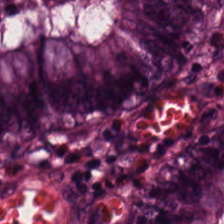Q: What type of tissue is this?
A: Normal colonic mucosa.
